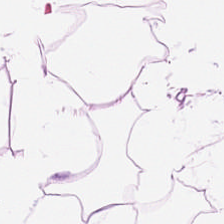Stain: H&E.
Tissue: adipose tissue.
